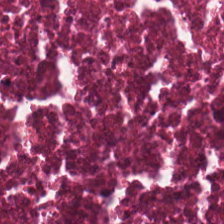H&E — Finding — debris.
